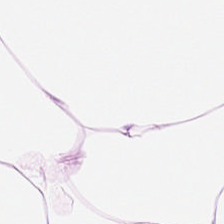224×224 px patch. H&E-stained tissue section. Brightfield microscopy.
Impression — adipose tissue.
